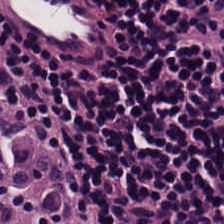The tissue is lymphocytes.
